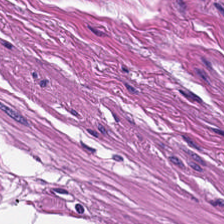Stain: hematoxylin and eosin.
Predominant tissue: smooth-muscle tissue.
